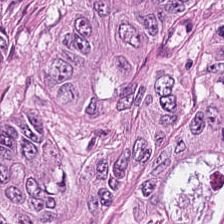Hematoxylin-and-eosin stained section.
Classification: malignant epithelium.
